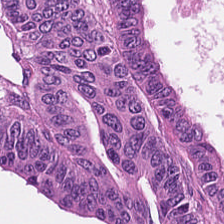H&E stain — Showing colorectal adenocarcinoma epithelium.
